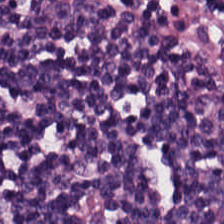H&E; 0.5 µm/px — Histology → lymphoid infiltrate.
